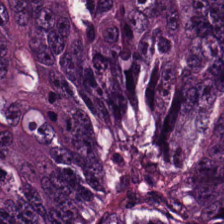H&E-stained tissue section.
Finding → adenocarcinoma.
